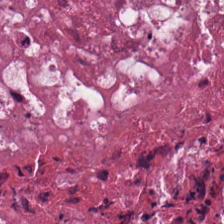Hematoxylin-and-eosin stained section. {"tissue_type": "debris"}
